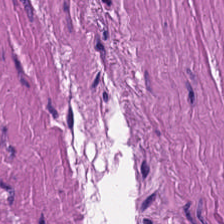Q: Identify the tissue.
A: It is smooth-muscle tissue.
